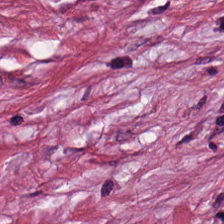H&E stain · 0.5 microns per pixel. Tumor-associated stroma.
